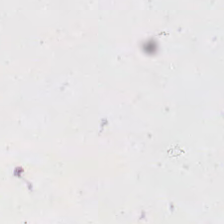Stain: H&E.
Resolution: 0.5 µm/px.
Preparation: FFPE.
Field content: empty background.
